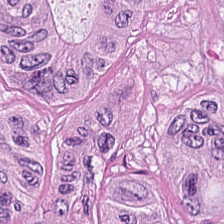The tissue is malignant epithelium.
